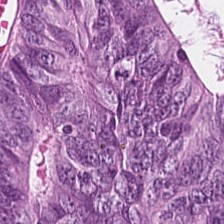Hematoxylin-and-eosin section: colorectal adenocarcinoma.
